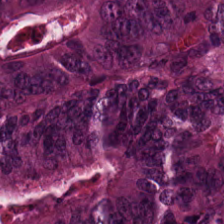H&E stain. The tissue is adenocarcinoma.
